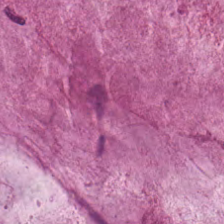H&E-stained tissue section; 0.5 microns per pixel.
Impression — mucus.
